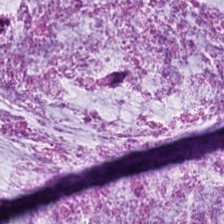Stain: H&E-stained tissue section.
Tissue type: extracellular mucin.
